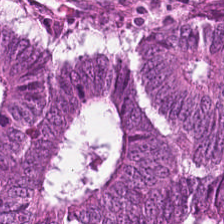Hematoxylin-and-eosin stained section.
The tissue here is adenocarcinoma.
